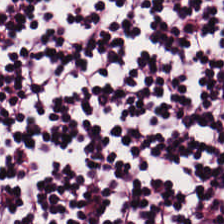Hematoxylin and eosin — This patch shows lymphocytic infiltrate.
